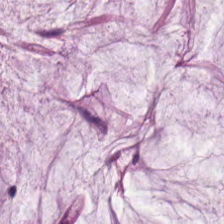H&E stain. Histology → mucus.
